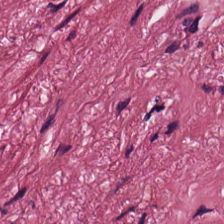H&E · brightfield microscopy. This field is cancer-associated stroma.
